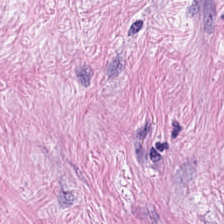H&E-stained tissue section. Histology → tumor-associated stroma.
